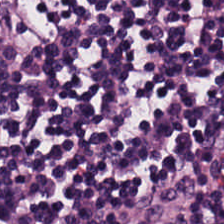H&E-stained tissue section. This field is lymphocytes.
